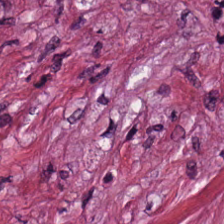The tissue type is desmoplastic stroma.
